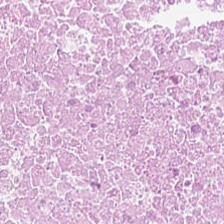H&E-stained section; the field shows debris.
